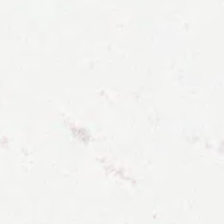H&E. Content — empty background.
